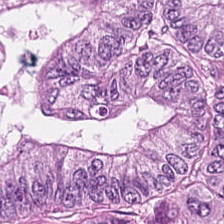Stain: H&E.
Tissue class: adenocarcinoma.
